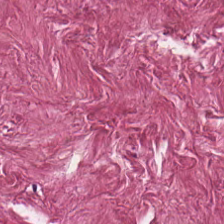Stain: hematoxylin and eosin.
Tile size: 224×224 px patch.
Predominant tissue: tumor stroma.
